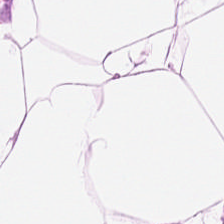Stain: H&E-stained tissue section.
Resolution: 0.5 microns per pixel.
Tissue type: adipose.
